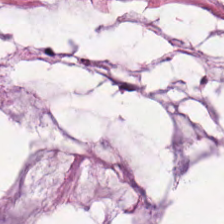Hematoxylin-and-eosin stained section. Tissue type = mucus.
